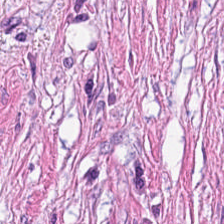H&E stain. Formalin-fixed paraffin-embedded section.
Classification = tumor stroma.
